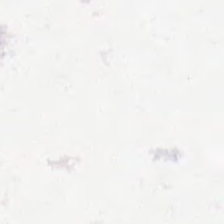Finding → no tissue.
